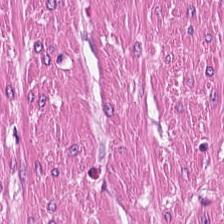Stain: H&E stain.
Predominant tissue: smooth-muscle tissue.
